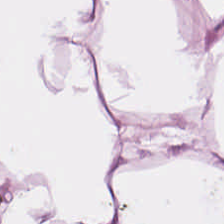Brightfield microscopy · formalin-fixed paraffin-embedded section · H&E — Q: What type of tissue is this?
A: Adipose.
